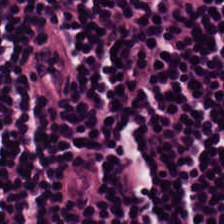Lymphocytes.
